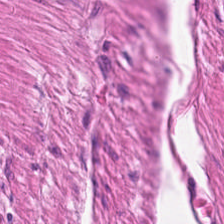Showing smooth muscle.
